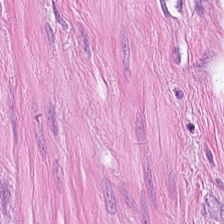H&E patch showing smooth muscle.
